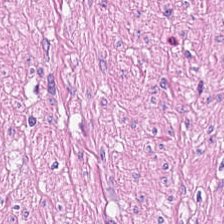H&E stain. This patch shows smooth-muscle tissue.
